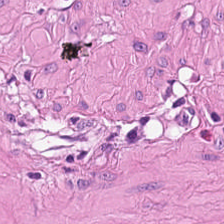H&E stain; 0.5 µm per pixel — Q: What is shown in this field?
A: Smooth-muscle tissue.
